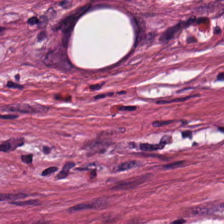FFPE tissue section · 224×224 px patch · hematoxylin-and-eosin stained section — The tissue here is tumor stroma.
